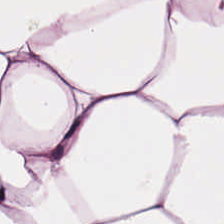H&E — Q: Identify the tissue.
A: It is adipocytes.
